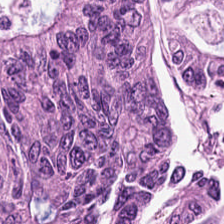Histology → malignant epithelium.
